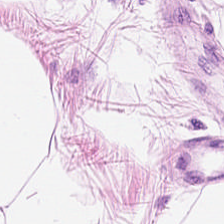H&E patch showing adipocytes.
